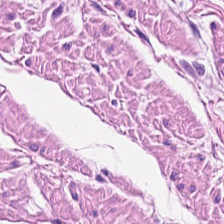224×224 pixel tile; H&E; brightfield.
Q: What does this patch show?
A: This is smooth muscle.
